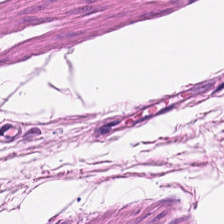H&E.
Smooth-muscle tissue.
